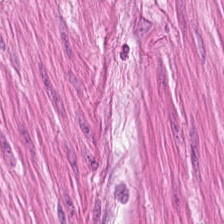H&E-stained tissue section.
Predominantly muscularis.
